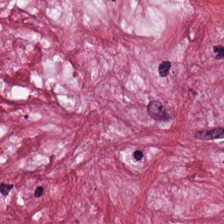H&E — tumor-associated stroma.
